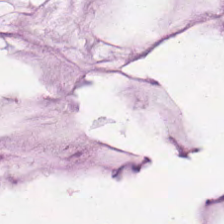H&E-stained tissue section — Q: Classify this patch.
A: This is mucus.
